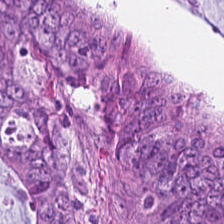Formalin-fixed paraffin-embedded section. H&E-stained tissue section.
This patch shows colorectal adenocarcinoma epithelium.
